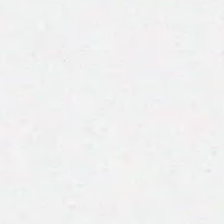Hematoxylin-and-eosin stained section. Background — no tissue in this field.
